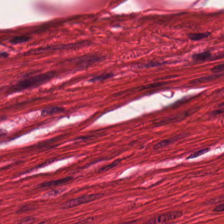224×224 px tile. H&E stain.
This field is muscularis.
